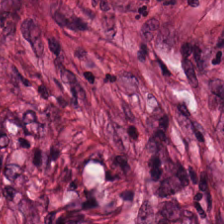H&E stain.
{"tissue_type": "tumor-associated stroma"}
